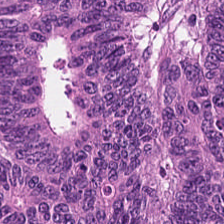FFPE tissue section; 20× equivalent magnification; hematoxylin-and-eosin stained section — The predominant tissue is colorectal adenocarcinoma epithelium.
